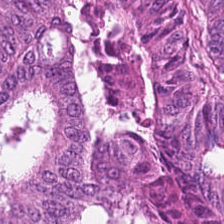H&E; 0.5 µm/px. The predominant tissue is colorectal adenocarcinoma.
